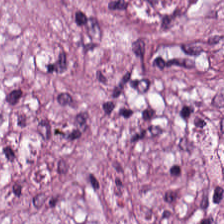Hematoxylin and eosin · 20× equivalent magnification.
Impression → tumor-associated stroma.
